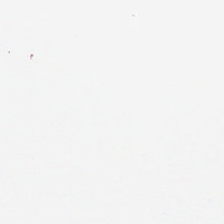H&E stain. 224×224 pixel tile.
Field content = no tissue.
